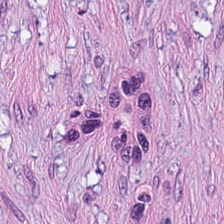H&E-stained tissue section — Cancer-associated stroma.
